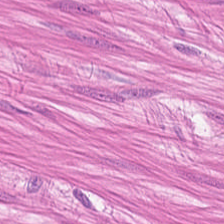H&E-stained tissue section — Q: What is the predominant tissue type?
A: It is smooth-muscle tissue.
